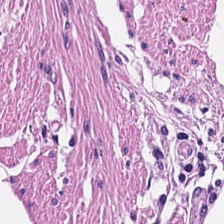H&E-stained tissue section · brightfield microscopy — This field is muscularis.
